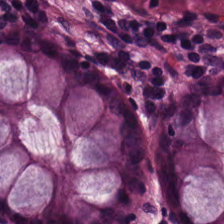FFPE tissue section. Brightfield. H&E-stained tissue section. Predominant tissue: normal colonic mucosa.
